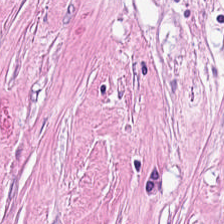H&E stain — Classification — desmoplastic stroma.
